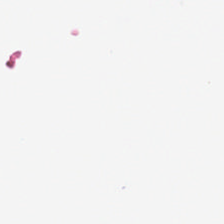This field is background (no tissue).
